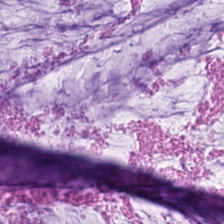The classification is extracellular mucin.
